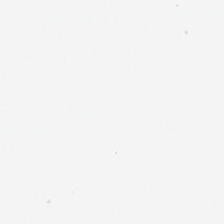Hematoxylin-and-eosin stained section.
This patch shows background (no tissue).
